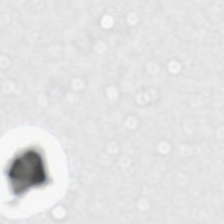Hematoxylin and eosin — Content = background (no tissue).
